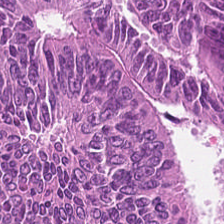The predominant tissue is tumor epithelium.
